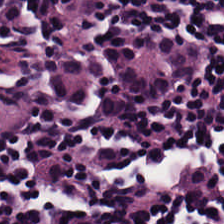Histology — lymphoid infiltrate.
